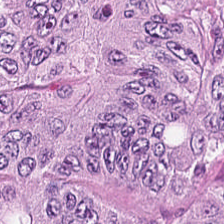224×224 pixel tile · hematoxylin-and-eosin stained section · brightfield microscopy. Q: What tissue is shown?
A: It is tumor epithelium.
